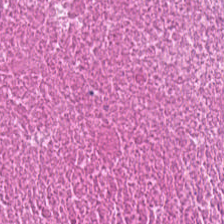Hematoxylin and eosin. 224×224 pixel tile. FFPE tissue section.
The predominant tissue is debris.
